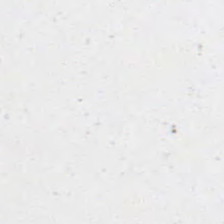Hematoxylin and eosin; 20× equivalent magnification. Finding → no tissue.
